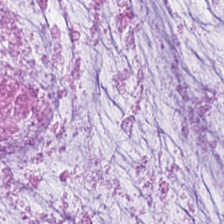Hematoxylin and eosin — Predominantly mucus.
